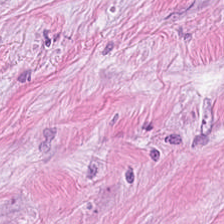Hematoxylin and eosin · 0.5 µm/px · 224×224 px tile.
The classification is cancer-associated stroma.
